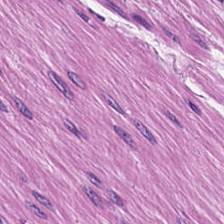H&E — This patch shows muscularis.
